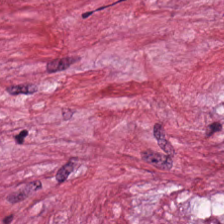WSI patch. H&E-stained tissue section — Predominant tissue — tumor stroma.
